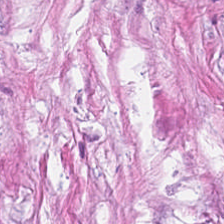FFPE tissue section · 224×224 px patch · hematoxylin and eosin. This field is tumor-associated stroma.
